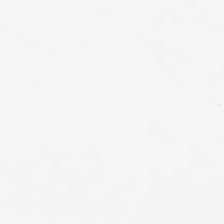Hematoxylin-and-eosin stained section.
No tissue present; background only.
